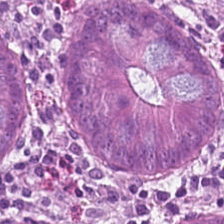Hematoxylin-and-eosin stained section — Q: Identify the tissue.
A: The field shows non-neoplastic colon mucosa.
